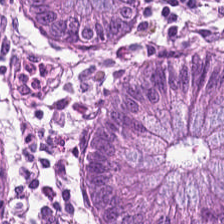Brightfield · H&E stain — Tissue type — benign colonic mucosa.
